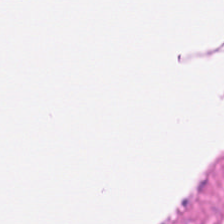H&E-stained tissue section. 0.5 µm/px. Q: What is shown in this field?
A: Muscularis.
